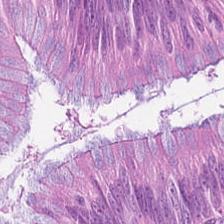Malignant epithelium.
